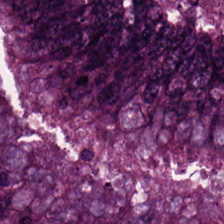Stain: H&E.
Acquisition: brightfield microscopy.
Tissue: colorectal adenocarcinoma epithelium.
